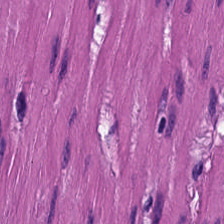H&E.
Q: Identify the tissue.
A: This is muscularis.
